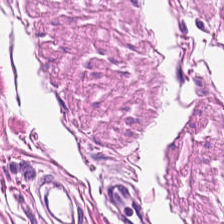Hematoxylin-and-eosin stained section. Impression — smooth muscle.
